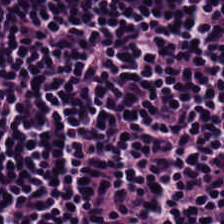Stain: H&E.
Tile size: 224×224 pixel tile.
Classification: lymphocytes.
